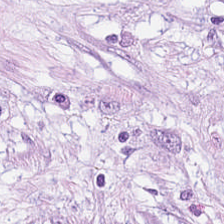Stain: H&E-stained tissue section.
Acquisition: whole-slide-image patch.
Preparation: FFPE.
Tissue: extracellular mucin.
